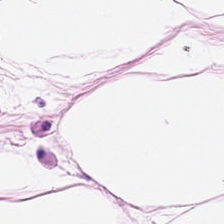Hematoxylin-and-eosin stained section — Q: What is the predominant tissue type?
A: This is adipose tissue.
